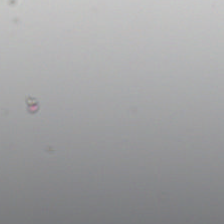Q: What does this patch show?
A: This is background (no tissue).
